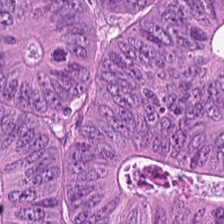FFPE tissue section; H&E; 224×224 px patch — Showing colorectal adenocarcinoma.
